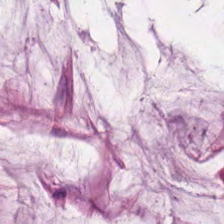224×224 px tile · FFPE tissue section · H&E stain.
Predominant tissue: extracellular mucin.
